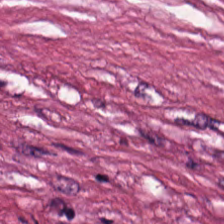Formalin-fixed paraffin-embedded section. Hematoxylin-and-eosin stained section. 0.5 µm/px — The tissue class is debris.
